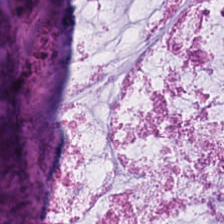WSI patch; formalin-fixed paraffin-embedded section; H&E-stained tissue section — This field is mucus.
